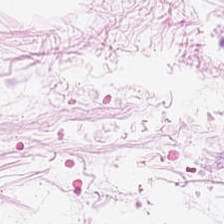Q: Identify the tissue.
A: Adipocytes.
